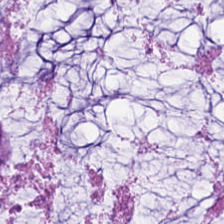{"tissue_type": "mucus"}
